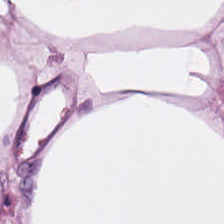Predominantly adipose tissue.
